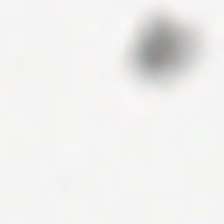Hematoxylin and eosin.
The classification is no tissue.
